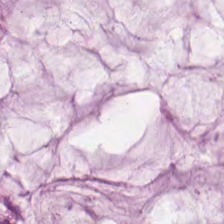H&E — {"tissue_type": "mucus"}
